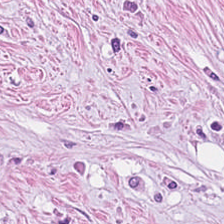Hematoxylin and eosin.
Tumor stroma.
